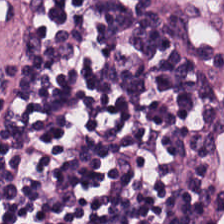Hematoxylin and eosin.
Lymphocytic infiltrate.
